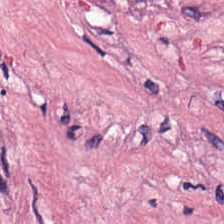{"tissue_type": "cancer-associated stroma"}
